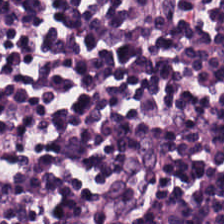Tissue — lymphocytes.
